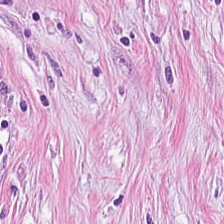Stain: H&E stain.
Classification: tumor-associated stroma.
